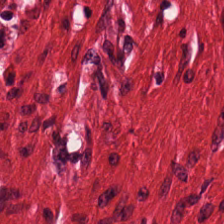Stain: H&E-stained tissue section.
Acquisition: whole-slide-image patch.
Resolution: 0.5 microns per pixel.
Tissue type: muscularis.
